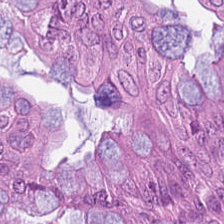H&E stain. FFPE.
Q: Classify this patch.
A: The field shows malignant epithelium.
